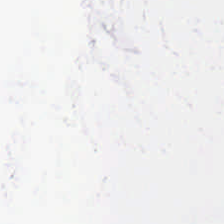Hematoxylin and eosin — Q: Classify this patch.
A: This is empty background.
